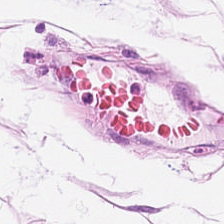Q: What is shown in this field?
A: It is adipocytes.
